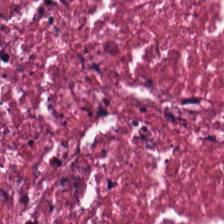H&E-stained tissue section — Classification = necrotic debris.
